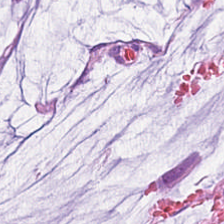Q: What tissue is shown?
A: This is extracellular mucin.
